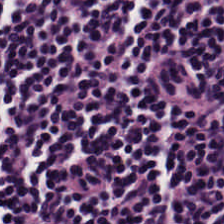Stain: H&E-stained tissue section.
Tissue type: lymphoid infiltrate.
